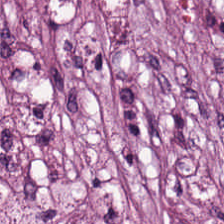Brightfield. Hematoxylin-and-eosin stained section.
The tissue type is tumor-associated stroma.
